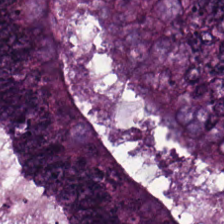H&E stain; 0.5 µm per pixel.
Predominant tissue — malignant epithelium.
